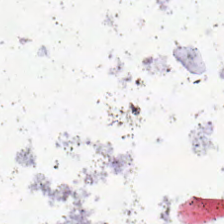H&E-stained tissue section. Brightfield. 0.5 µm per pixel. {"content": "background"}
